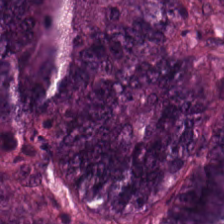Hematoxylin and eosin. FFPE tissue section. Predominantly adenocarcinoma.
